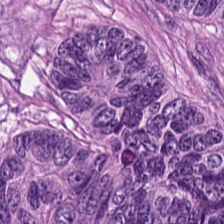Finding → tumor epithelium.
